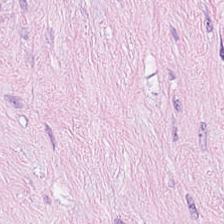Hematoxylin and eosin.
This patch shows desmoplastic stroma.
